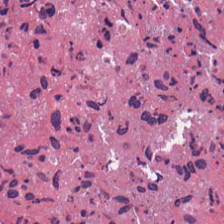Finding — cellular debris.
